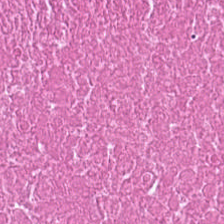Hematoxylin and eosin.
Classification — debris.
